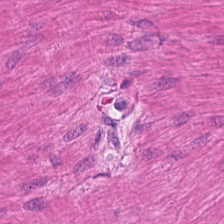{"tissue_type": "smooth-muscle tissue"}
